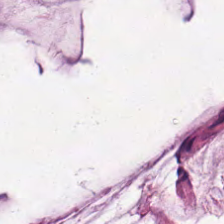224×224 px patch. 0.5 µm per pixel. Hematoxylin and eosin. Q: What type of tissue is this?
A: Mucus.
